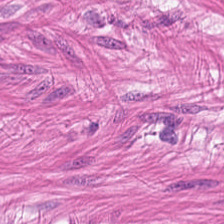H&E-stained tissue section. This field is muscularis.
